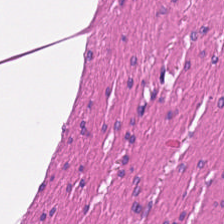Stain: hematoxylin and eosin.
Tissue type: smooth muscle.
